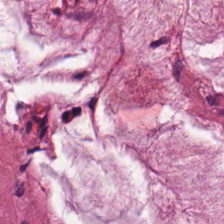Mucus.
